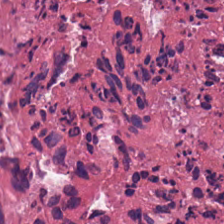Stain: hematoxylin and eosin.
Tile size: 224×224 pixel tile.
Tissue: debris.
